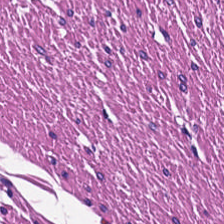Hematoxylin-and-eosin stained section. Finding → muscularis.
